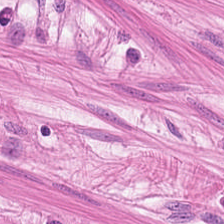H&E. Tissue: smooth muscle.
